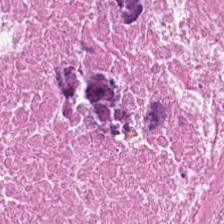Stain: hematoxylin and eosin.
Tissue type: cellular debris.
